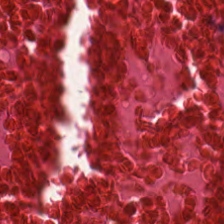H&E. Histology → debris.
